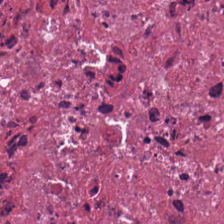FFPE · 0.5 µm per pixel · hematoxylin and eosin — Tissue — cellular debris.
